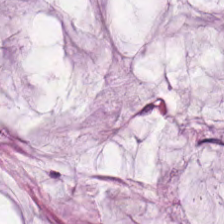H&E-stained tissue section showing extracellular mucin.
